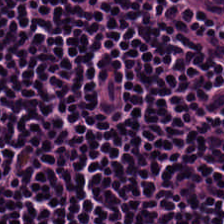The tissue is lymphocytes.
